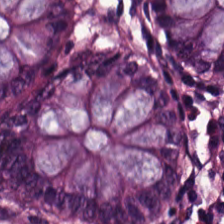H&E. Predominant tissue — non-neoplastic colon mucosa.
